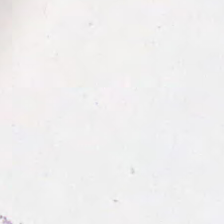Stain: hematoxylin and eosin.
Classification: empty background.
